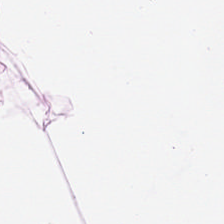Hematoxylin and eosin.
Predominant tissue = adipose tissue.
